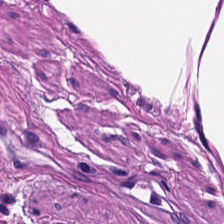Whole-slide-image patch · H&E-stained tissue section.
Showing muscularis.
